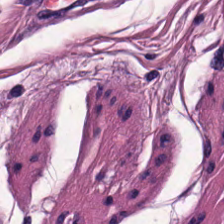H&E — Predominantly smooth muscle.
